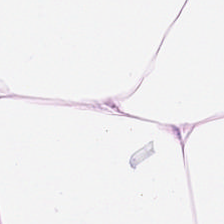FFPE tissue section · hematoxylin-and-eosin stained section. This field is fat tissue.
